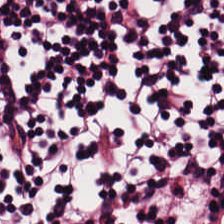Stain: H&E stain.
Tissue class: lymphoid infiltrate.
